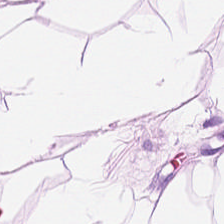This patch shows adipose tissue.
